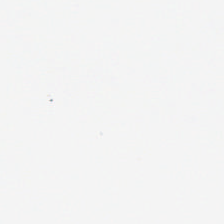Background — no tissue in this field.
